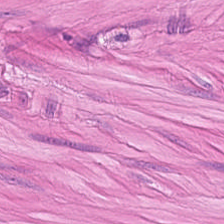H&E stain.
{"tissue_type": "smooth muscle"}
